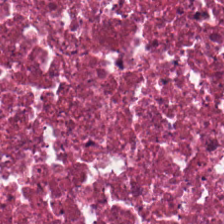0.5 µm per pixel; H&E; FFPE tissue section. This field is necrotic debris.
